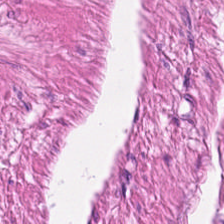Hematoxylin and eosin. The predominant tissue is smooth muscle.
